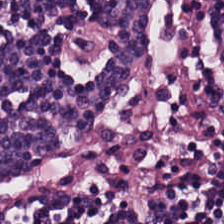Hematoxylin and eosin.
Tissue = lymphocyte aggregate.
